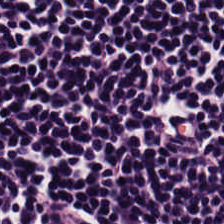Stain: H&E.
Tissue type: lymphocytic infiltrate.
